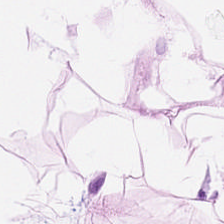Stain: H&E stain.
Tissue class: adipose tissue.
